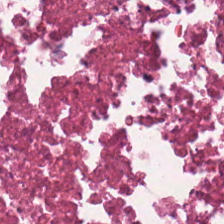Hematoxylin-and-eosin stained section.
Tissue type: debris.
